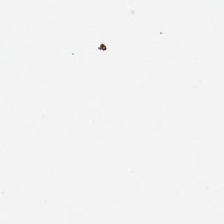0.5 µm/px. Hematoxylin-and-eosin stained section. Q: What is shown here?
A: No tissue.
